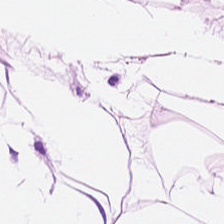H&E stain — Q: What tissue is shown?
A: The field shows adipose tissue.
